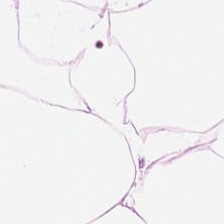Impression → adipose tissue.
